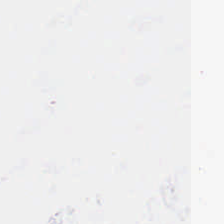Empty background.
